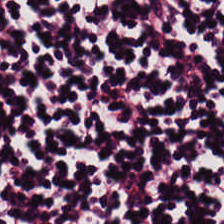Hematoxylin and eosin · 0.5 microns per pixel. Lymphocytes.
